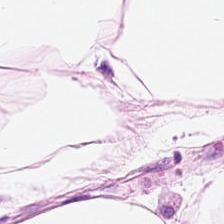Stain: H&E stain.
Resolution: 0.5 µm/px.
Tissue: adipose.
